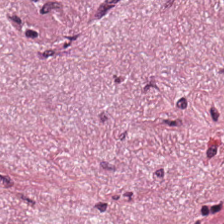Tumor stroma.
